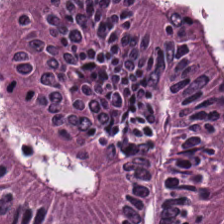H&E-stained section; the field shows malignant epithelium.
